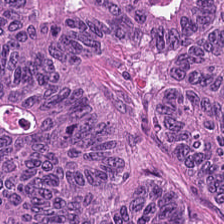Stain: H&E-stained tissue section.
Tissue: adenocarcinoma.
